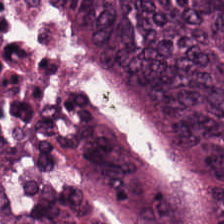Tissue = tumor epithelium.
